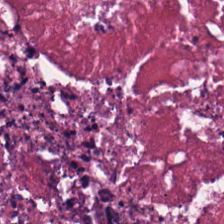Predominant tissue = debris.
